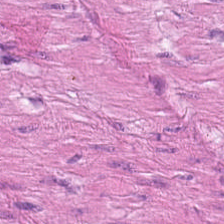224×224 px tile · H&E.
Histology → muscularis.
